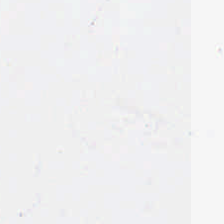H&E — No tissue present; background only.
